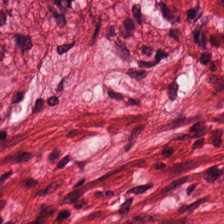H&E stain. Brightfield microscopy. 20× equivalent magnification.
Muscularis.
